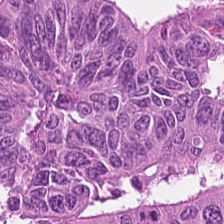Hematoxylin-and-eosin stained section.
Finding — colorectal adenocarcinoma epithelium.
